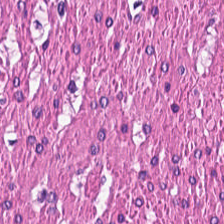H&E · brightfield microscopy · 224×224 px patch. The tissue here is muscularis.
